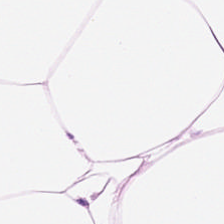Hematoxylin-and-eosin stained section.
Showing adipose tissue.
